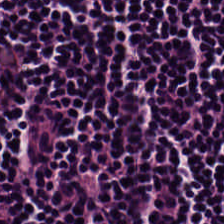Q: What is shown in this field?
A: It is lymphocyte aggregate.
